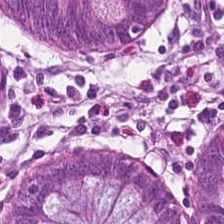H&E. Q: What is the predominant tissue type?
A: This is benign colonic mucosa.
